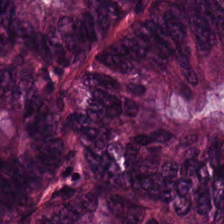Tissue type = colorectal adenocarcinoma epithelium.
